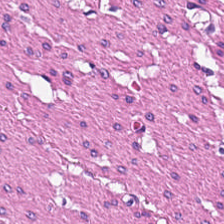224×224 px tile. Hematoxylin-and-eosin stained section. This patch shows smooth muscle.
